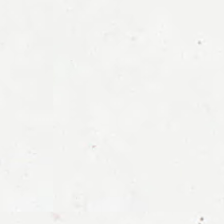H&E — Content: background.
